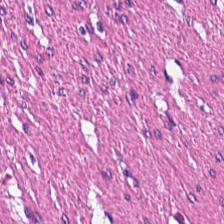H&E — muscularis.
